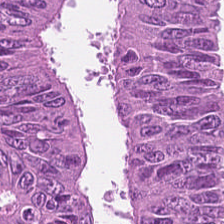H&E — Showing malignant epithelium.
